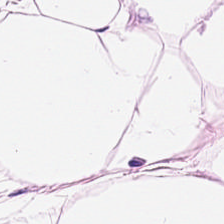H&E-stained tissue section — Tissue class: adipocytes.
